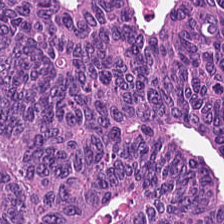The classification is malignant epithelium.
